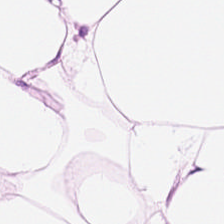224×224 px tile. Hematoxylin-and-eosin stained section. 0.5 µm/px — Tissue — adipose.
